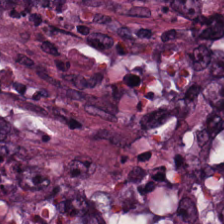Q: Classify this patch.
A: The field shows colorectal adenocarcinoma epithelium.
